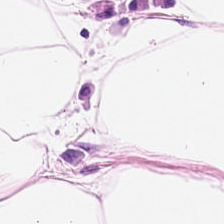H&E stain.
Tissue class = adipose tissue.
